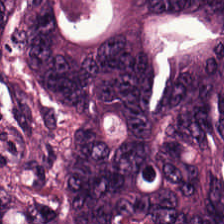H&E-stained tissue section showing malignant epithelium.
